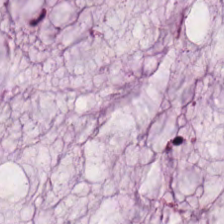Hematoxylin-and-eosin stained section · WSI patch · formalin-fixed paraffin-embedded section.
Tissue class: mucin.
